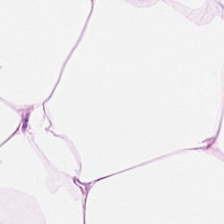Tissue type: fat tissue.
